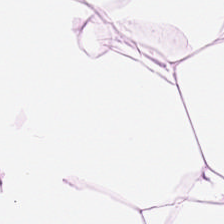H&E stain. Impression → adipocytes.
